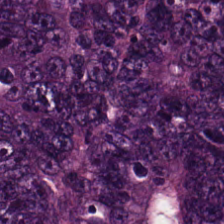H&E · FFPE. This patch shows colorectal adenocarcinoma.
